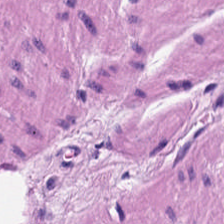Q: What does this patch show?
A: The field shows smooth muscle.
